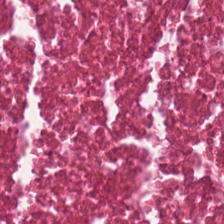Histology → necrotic debris.
